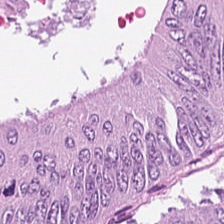Q: What type of tissue is this?
A: Adenocarcinoma.
